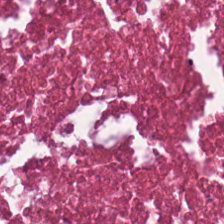224×224 px tile. Hematoxylin-and-eosin stained section. Q: What tissue is shown?
A: It is cellular debris.
